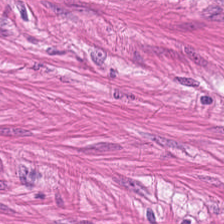H&E stain.
Q: What is shown in this field?
A: This is muscularis.
